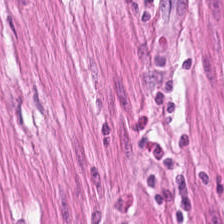H&E stain. Tissue type = smooth-muscle tissue.
